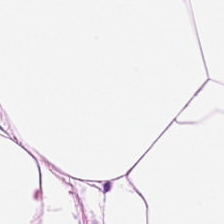Q: What type of tissue is this?
A: The field shows adipocytes.
